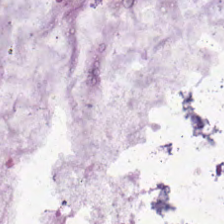Hematoxylin and eosin.
Tissue class: extracellular mucin.
